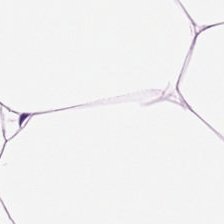20× equivalent magnification; hematoxylin-and-eosin stained section; formalin-fixed paraffin-embedded section. Q: What tissue is shown?
A: The field shows fat tissue.
